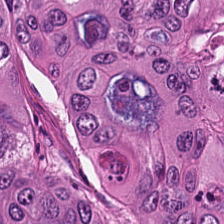Hematoxylin-and-eosin stained section.
Predominantly malignant epithelium.
